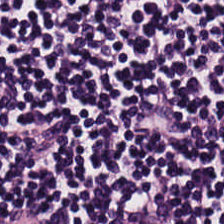H&E-stained tissue section · FFPE · 20× equivalent magnification.
{"tissue_type": "lymphocytes"}
